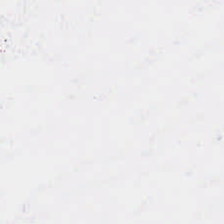H&E. 224×224 px patch — Classification: empty background.
